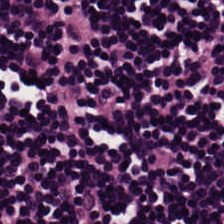Q: What does this patch show?
A: The field shows lymphoid infiltrate.
